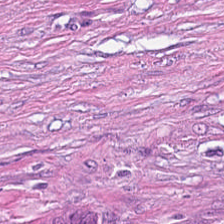0.5 microns per pixel. Hematoxylin and eosin — Q: Identify the tissue.
A: It is tumor-associated stroma.
